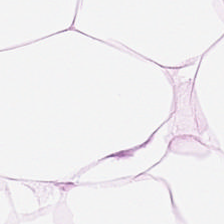Q: What tissue is shown?
A: The field shows adipose.
